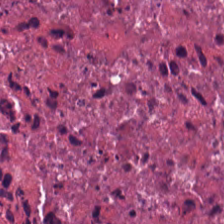Hematoxylin-and-eosin stained section; 224×224 px tile. {"tissue_type": "cellular debris"}
